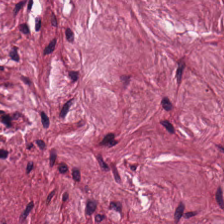Whole-slide-image patch · H&E-stained tissue section · 224×224 pixel tile.
Predominantly desmoplastic stroma.
